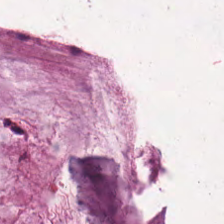Brightfield; hematoxylin and eosin; 224×224 pixel tile — Mucin.
